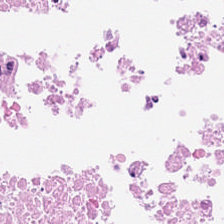Hematoxylin-and-eosin stained section; whole-slide-image patch.
Tissue class: necrotic debris.
